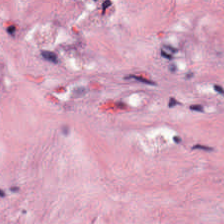H&E stain · formalin-fixed paraffin-embedded section. Predominant tissue = cancer-associated stroma.
